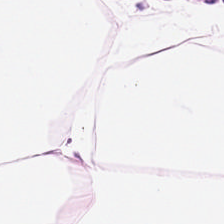0.5 µm per pixel; hematoxylin-and-eosin stained section. Finding → adipocytes.
